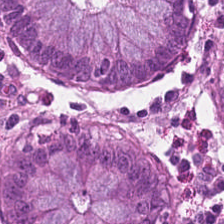Stain: H&E stain.
Tile size: 224×224 pixel tile.
Preparation: FFPE tissue section.
Tissue class: normal colon mucosa.
